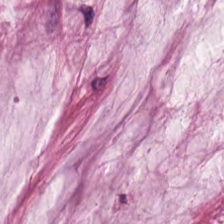H&E-stained tissue section · 0.5 µm/px. This patch shows extracellular mucin.
